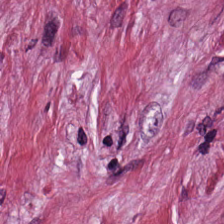Hematoxylin and eosin — Tissue type — tumor stroma.
